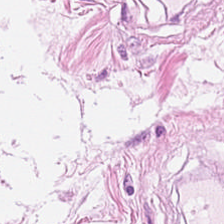Formalin-fixed paraffin-embedded section; H&E stain; 20× equivalent magnification.
This field is adipose.
